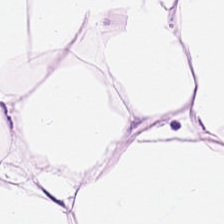Stain: H&E-stained tissue section.
Predominant tissue: adipose tissue.
